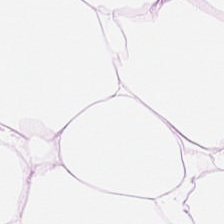224×224 px patch. Hematoxylin and eosin. Brightfield microscopy. {"tissue_type": "adipose tissue"}
